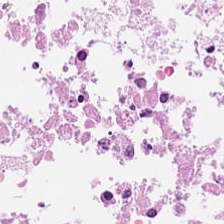Whole-slide-image patch; hematoxylin-and-eosin stained section — Predominantly debris.
